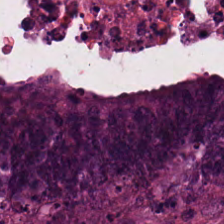H&E-stained tissue section. Malignant epithelium.
